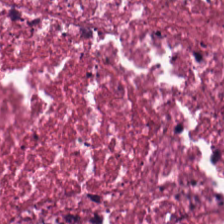H&E-stained tissue section — Impression → cellular debris.
